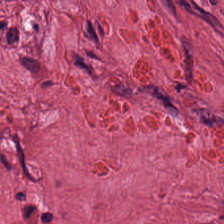H&E-stained tissue section. This patch shows tumor-associated stroma.
